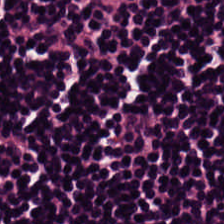This field is lymphocytes.
